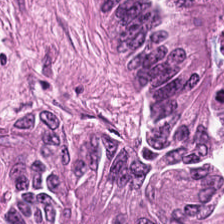Finding → colorectal adenocarcinoma.
